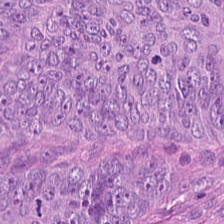Hematoxylin-and-eosin stained section.
Tissue — adenocarcinoma.
